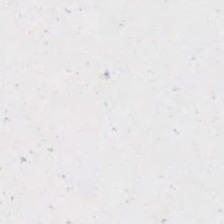Stain: hematoxylin-and-eosin stained section.
Content: background.
